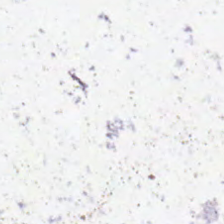Formalin-fixed paraffin-embedded section. Hematoxylin-and-eosin stained section. Background — no tissue in this field.
